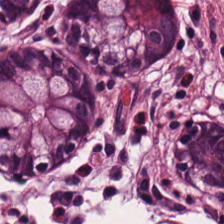Predominant tissue = normal colonic mucosa.
